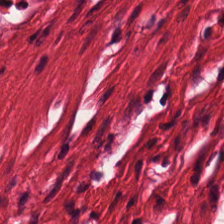Hematoxylin-and-eosin stained section.
The tissue class is muscularis.
